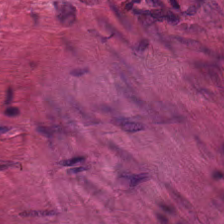0.5 µm per pixel. H&E stain. Finding → smooth muscle.
